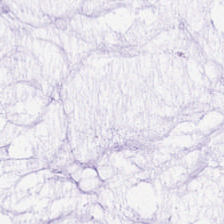Finding → mucus.
